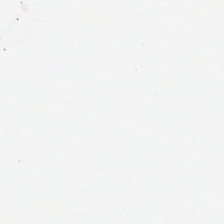H&E — Finding → empty background.
